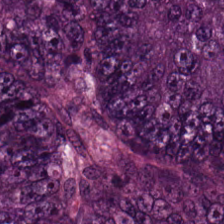H&E-stained tissue section. This patch shows tumor epithelium.
